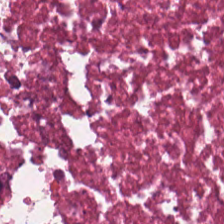H&E-stained section; the field shows debris.
